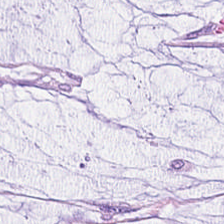H&E stain · 224×224 px patch · 0.5 µm per pixel — Q: What tissue is shown?
A: The field shows mucus.
